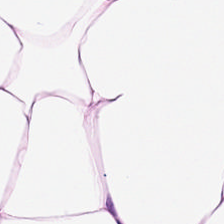H&E stain · WSI patch.
Tissue class: adipose.
